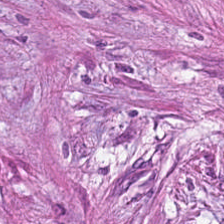0.5 µm/px · H&E-stained tissue section.
The predominant tissue is tumor stroma.
